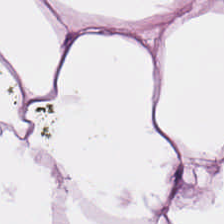Brightfield microscopy · H&E-stained tissue section — Q: What does this patch show?
A: It is fat tissue.
